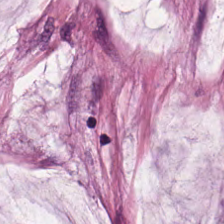H&E-stained tissue section — Q: What type of tissue is this?
A: This is mucin.
